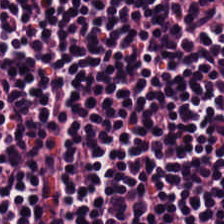Hematoxylin-and-eosin stained section. Tissue type — lymphocyte aggregate.
